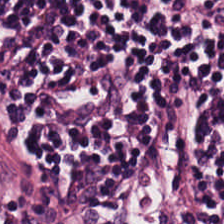H&E stain. Tissue class = lymphocytes.
